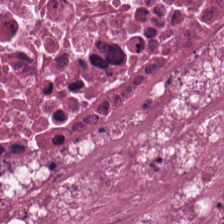H&E-stained tissue section. Brightfield microscopy. This patch shows cellular debris.
